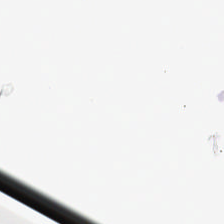This field is background (no tissue).
